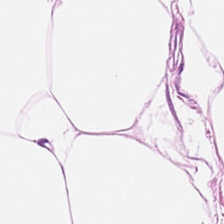H&E stain.
Q: What type of tissue is this?
A: Adipose.
